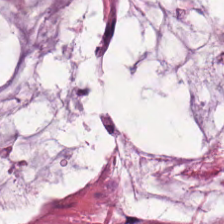Stain: H&E.
Tile size: 224×224 px patch.
Tissue type: mucin.
